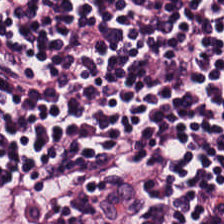H&E stain; 20× equivalent magnification. Q: What is the predominant tissue type?
A: The field shows lymphoid infiltrate.
